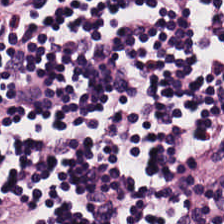The predominant tissue is lymphocytes.
